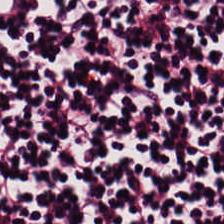Showing lymphocytic infiltrate.
